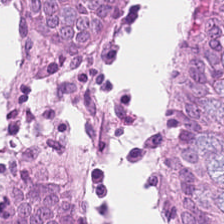Hematoxylin-and-eosin stained section. 0.5 microns per pixel. This field is normal colon mucosa.
